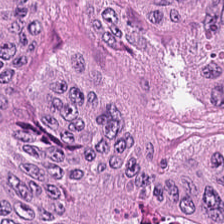0.5 µm/px · hematoxylin-and-eosin stained section · formalin-fixed paraffin-embedded section. Adenocarcinoma.
